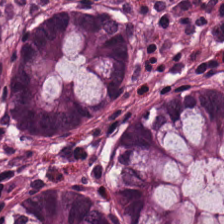Hematoxylin and eosin — The predominant tissue is non-neoplastic colon mucosa.
